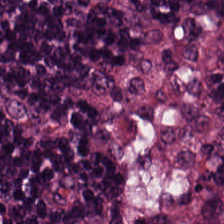H&E. The predominant tissue is lymphocyte aggregate.
